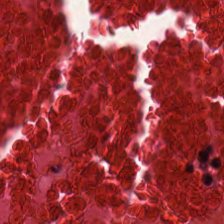H&E-stained tissue section. 224×224 pixel tile. The predominant tissue is necrotic debris.
